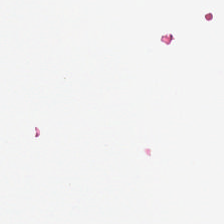No tissue present; background only.
